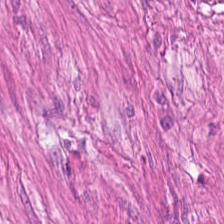Hematoxylin and eosin. Histology — smooth muscle.
